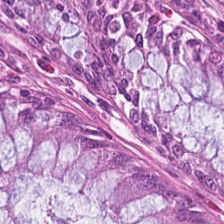Finding → benign colonic mucosa.
